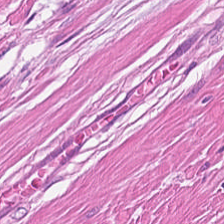H&E stain. This patch shows smooth-muscle tissue.
